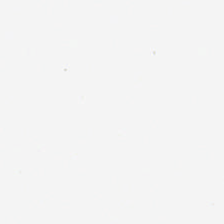Hematoxylin-and-eosin stained section. Classification = background (no tissue).
